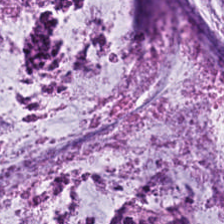Hematoxylin-and-eosin section: mucin.
